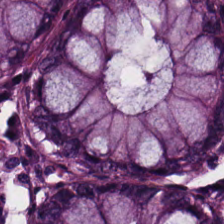H&E — non-neoplastic colon mucosa.
